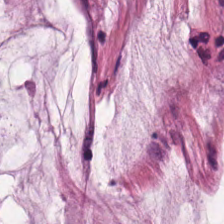H&E. 224×224 px patch.
Finding — extracellular mucin.
